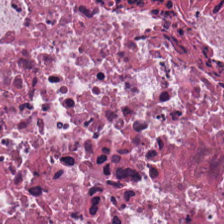Hematoxylin-and-eosin stained section; formalin-fixed paraffin-embedded section; 224×224 px patch. Q: What does this patch show?
A: Cellular debris.
